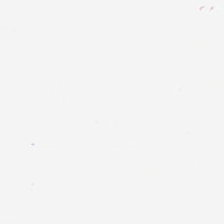224×224 px patch · H&E-stained tissue section. Empty field — empty background.
